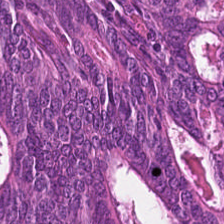224×224 px tile · H&E stain.
Tissue class = tumor epithelium.
